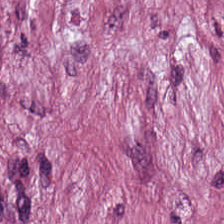Impression — desmoplastic stroma.
